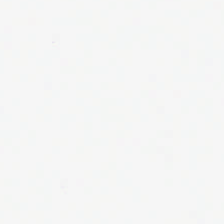Stain: H&E.
Content: no tissue.
